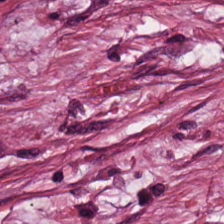FFPE tissue section · H&E.
Histology — desmoplastic stroma.
